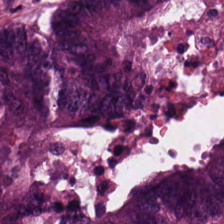H&E patch showing colorectal adenocarcinoma epithelium.
